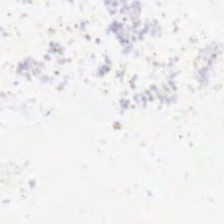Hematoxylin-and-eosin stained section — {"content": "empty background"}
